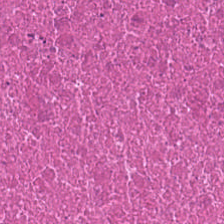H&E-stained tissue section.
Classification: cellular debris.
